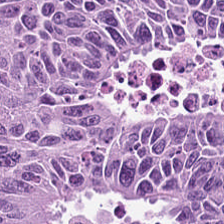H&E-stained section; the field shows tumor epithelium.
